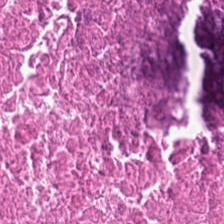H&E stain.
The tissue here is cellular debris.
